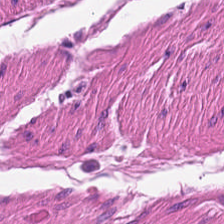H&E. Brightfield — Histology — muscularis.
